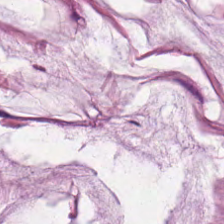Stain: hematoxylin-and-eosin stained section.
Tile size: 224×224 px tile.
Acquisition: whole-slide-image patch.
Tissue type: extracellular mucin.
